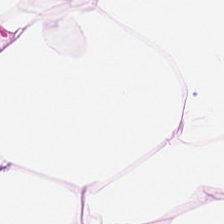224×224 px patch; hematoxylin and eosin.
Q: What is shown here?
A: The field shows adipose.
